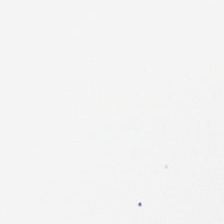H&E stain. Empty background.
